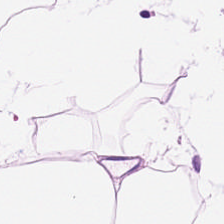Q: What does this patch show?
A: Adipose.
